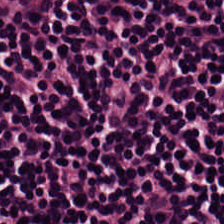H&E stain. The classification is lymphocyte aggregate.
